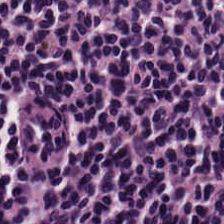224×224 px tile; WSI patch; H&E-stained tissue section. Predominant tissue: lymphoid infiltrate.
